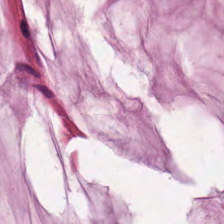Stain: hematoxylin-and-eosin stained section.
Tile size: 224×224 px tile.
Predominant tissue: mucin.
